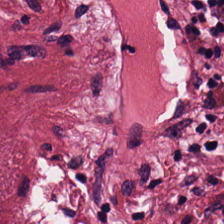224×224 pixel tile; formalin-fixed paraffin-embedded section; H&E — Impression — tumor-associated stroma.
